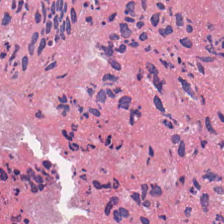Hematoxylin and eosin.
The tissue here is cellular debris.
